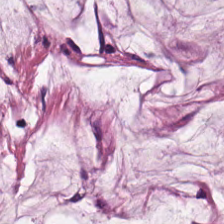H&E stain; brightfield — The tissue here is mucus.
